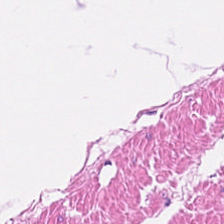H&E; 0.5 µm per pixel; 224×224 pixel tile.
This field is muscularis.
